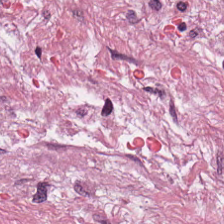H&E-stained tissue section — Classification: tumor-associated stroma.
